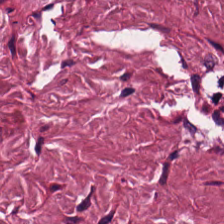20× equivalent magnification. H&E stain. Predominant tissue: tumor stroma.
